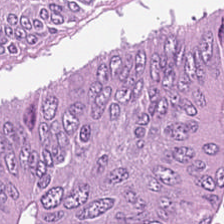This patch shows colorectal adenocarcinoma.
